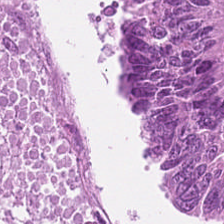H&E.
Predominantly tumor epithelium.
